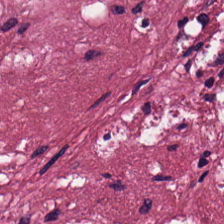Hematoxylin and eosin. Impression — tumor stroma.
